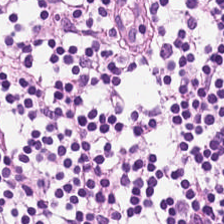FFPE. Hematoxylin and eosin — Q: What does this patch show?
A: The field shows lymphocyte aggregate.
